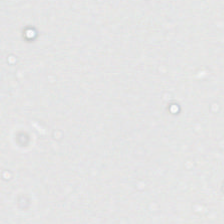H&E — No tissue present; background only.
